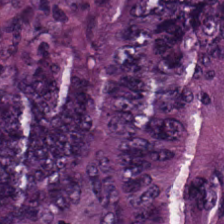Colorectal adenocarcinoma epithelium.
